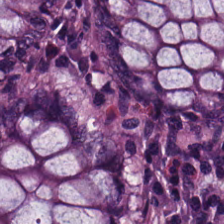FFPE. H&E stain. Brightfield — Q: What type of tissue is this?
A: The field shows normal colonic mucosa.
